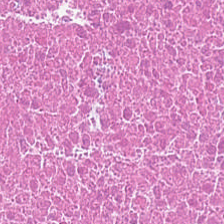H&E stain. Histology → debris.
